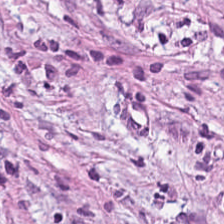Hematoxylin-and-eosin stained section — Finding — tumor stroma.
